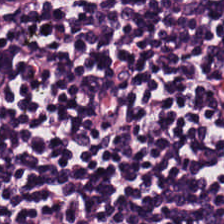Lymphocyte aggregate.
